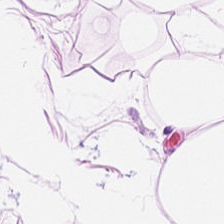224×224 px patch; H&E-stained tissue section; WSI patch.
Showing adipose.
